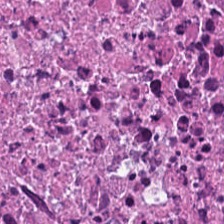Predominant tissue — necrotic debris.
